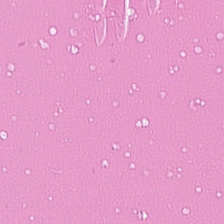Tissue class — cellular debris.
